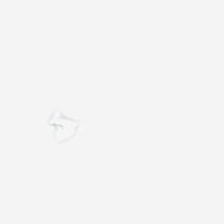H&E.
Background — no tissue in this field.
